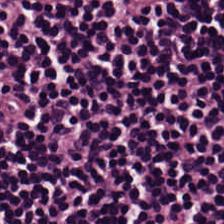H&E stain. 0.5 µm per pixel.
Predominant tissue — lymphoid infiltrate.
